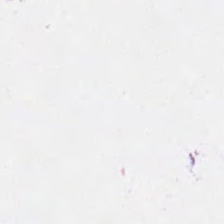H&E — This patch shows empty background.
